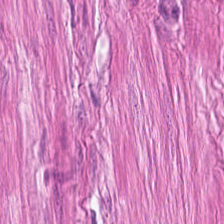0.5 µm per pixel; hematoxylin-and-eosin stained section; brightfield microscopy.
Tissue: smooth muscle.
